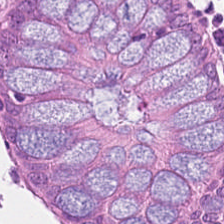Tissue: non-neoplastic colon mucosa.
